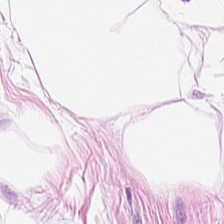H&E · brightfield.
Q: Identify the tissue.
A: This is adipose tissue.
